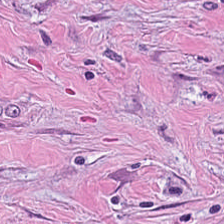Hematoxylin and eosin — Tissue class: tumor stroma.
